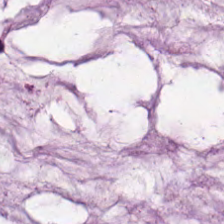H&E; brightfield microscopy. Tissue type: extracellular mucin.
